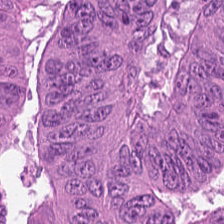H&E — adenocarcinoma.
